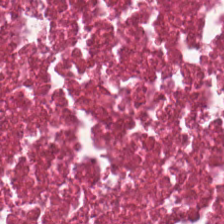Stain: H&E-stained tissue section.
Classification: necrotic debris.
